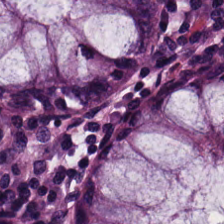Histology — normal colonic mucosa.
